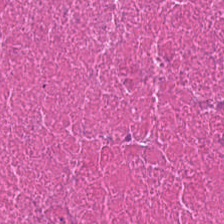Stain: H&E.
Acquisition: WSI patch.
Tissue: necrotic debris.
